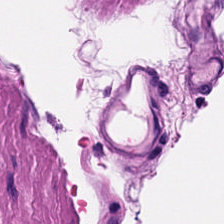Hematoxylin and eosin · brightfield microscopy · 224×224 px tile — Predominant tissue — smooth muscle.
